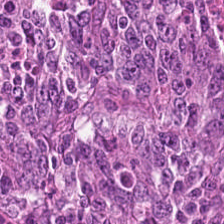H&E. 224×224 pixel tile — Q: What is shown in this field?
A: The field shows malignant epithelium.
